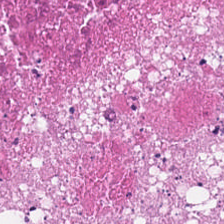Hematoxylin and eosin.
The classification is cellular debris.
